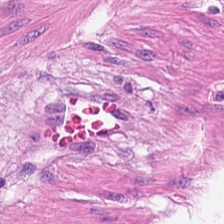224×224 pixel tile; hematoxylin-and-eosin stained section. This patch shows smooth-muscle tissue.
